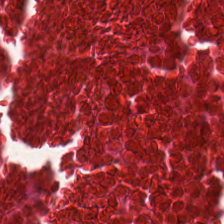Hematoxylin-and-eosin stained section.
Predominantly cellular debris.
